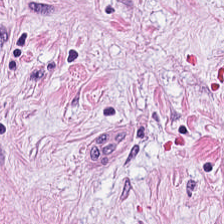H&E-stained tissue section — This field is cancer-associated stroma.
